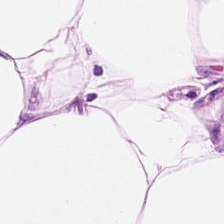Hematoxylin-and-eosin stained section. Showing adipose.
